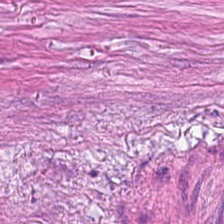Finding → desmoplastic stroma.
